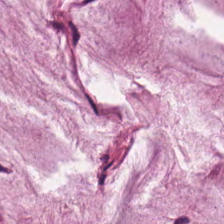The tissue class is extracellular mucin.
